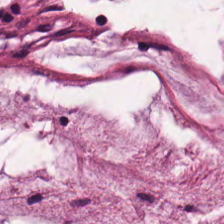H&E-stained tissue section.
Finding → extracellular mucin.
